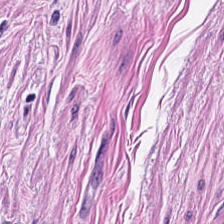Brightfield microscopy; H&E; formalin-fixed paraffin-embedded section — Q: What does this patch show?
A: Smooth-muscle tissue.
